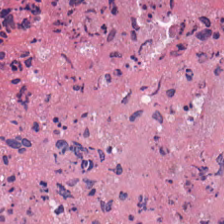Hematoxylin-and-eosin stained section; FFPE tissue section. Predominantly debris.
